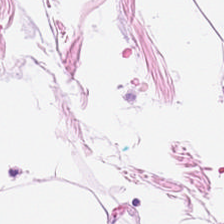H&E stain. Q: What is shown here?
A: This is adipocytes.
